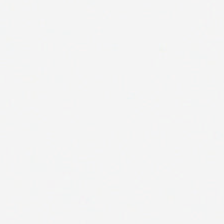Hematoxylin and eosin · 224×224 px patch — Background — no tissue in this field.
